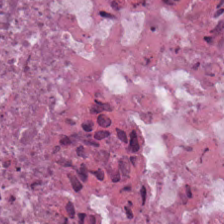H&E-stained tissue section.
Finding → debris.
